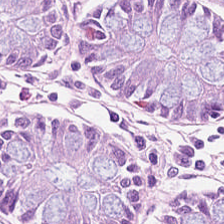Normal colon mucosa.
